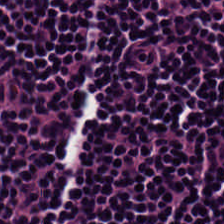H&E-stained tissue section.
Lymphocytic infiltrate.
